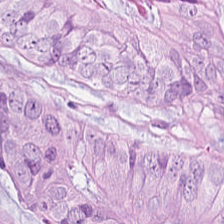H&E-stained tissue section showing malignant epithelium.
